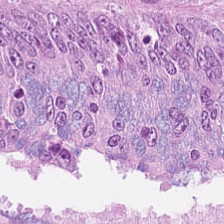H&E stain. Impression — colorectal adenocarcinoma.
